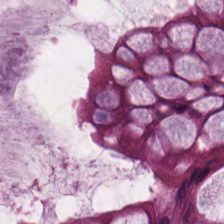Hematoxylin-and-eosin stained section — Tissue type = normal colon mucosa.
